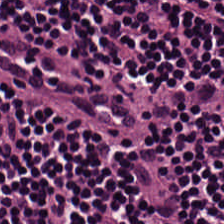H&E-stained tissue section — Predominantly lymphocytic infiltrate.
